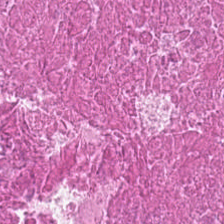This patch shows debris.
